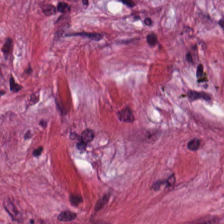Hematoxylin-and-eosin stained section — Tissue = cancer-associated stroma.
